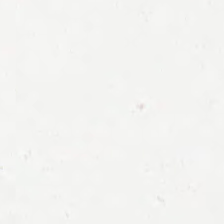0.5 microns per pixel; H&E. Background — no tissue in this field.
